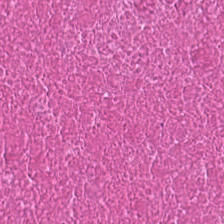Hematoxylin and eosin — The tissue type is cellular debris.
